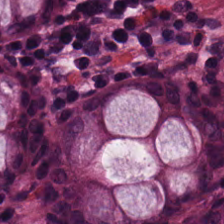Hematoxylin-and-eosin stained section — Predominant tissue = normal colon mucosa.
